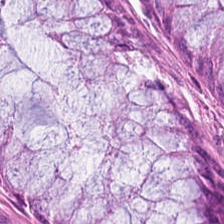Q: Identify the tissue.
A: Non-neoplastic colon mucosa.
